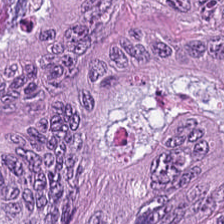H&E stain. FFPE.
Classification: tumor epithelium.
